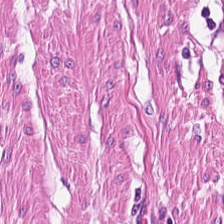Hematoxylin-and-eosin section: muscularis.
